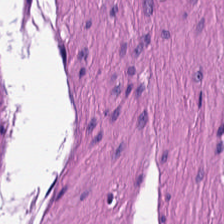This field is muscularis.
